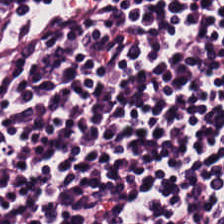0.5 microns per pixel. H&E stain — Q: What does this patch show?
A: Lymphocytes.
